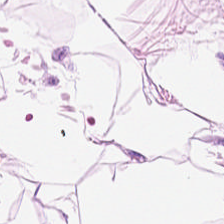H&E — adipocytes.
